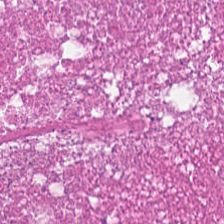Hematoxylin-and-eosin stained section — Tissue class = debris.
